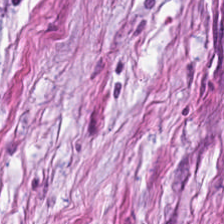{"tissue_type": "desmoplastic stroma"}
